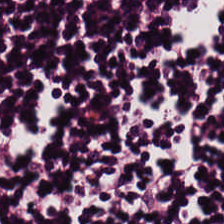H&E-stained tissue section.
This field is lymphoid infiltrate.
